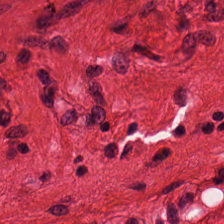Brightfield microscopy. Hematoxylin-and-eosin stained section. Finding → smooth-muscle tissue.
